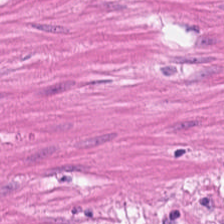H&E-stained tissue section; 0.5 µm/px — Finding → smooth muscle.
